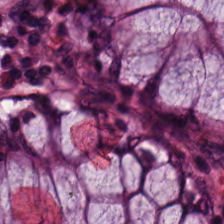224×224 px patch · hematoxylin-and-eosin stained section. Q: What tissue is shown?
A: Non-neoplastic colon mucosa.
